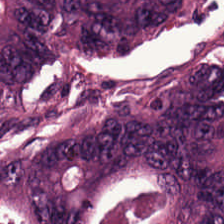Adenocarcinoma.
